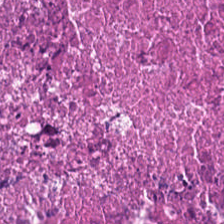H&E-stained tissue section; 0.5 µm per pixel. Q: What type of tissue is this?
A: The field shows necrotic debris.
